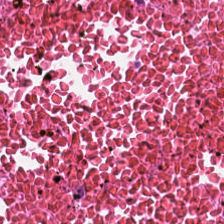Q: What does this patch show?
A: It is necrotic debris.
